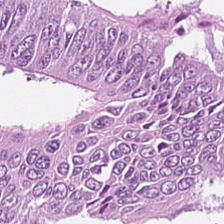H&E.
Showing colorectal adenocarcinoma epithelium.
